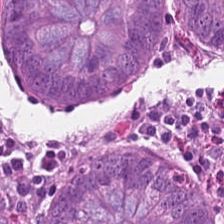Brightfield; hematoxylin and eosin — Q: What type of tissue is this?
A: The field shows benign colonic mucosa.
